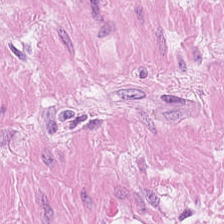224×224 pixel tile; hematoxylin-and-eosin stained section.
Classification = muscularis.
